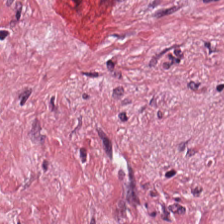Hematoxylin-and-eosin stained section.
Tissue class = desmoplastic stroma.
